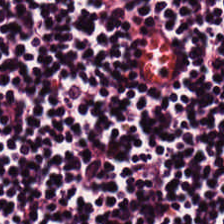H&E; 224×224 px tile — Showing lymphocytic infiltrate.
